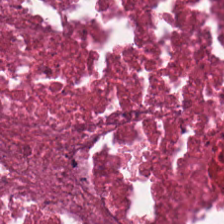H&E. Finding → necrotic debris.
